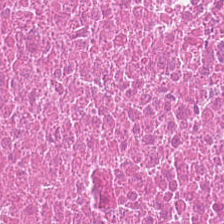H&E stain — This patch shows cellular debris.
